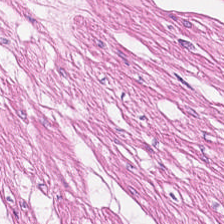Brightfield microscopy · H&E-stained tissue section. Smooth-muscle tissue.
